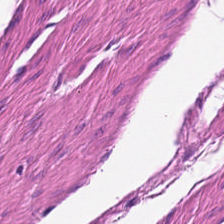Hematoxylin and eosin. Tissue: smooth muscle.
